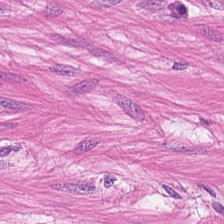H&E-stained tissue section. This patch shows smooth-muscle tissue.
